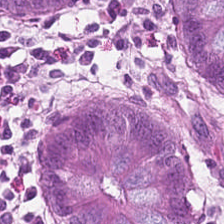H&E stain.
Predominant tissue = normal colonic mucosa.
